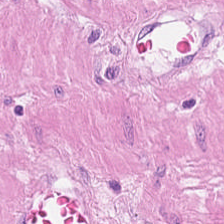H&E stain.
Showing smooth muscle.
